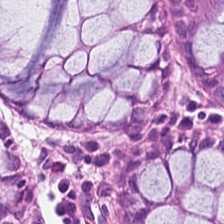Tissue class: normal colon mucosa.
